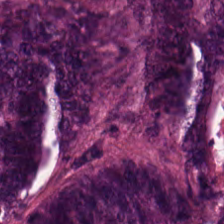H&E-stained tissue section. Classification = tumor epithelium.
